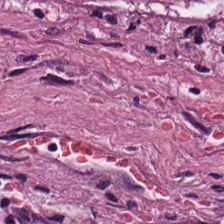Hematoxylin and eosin. 224×224 pixel tile. Histology — tumor stroma.
